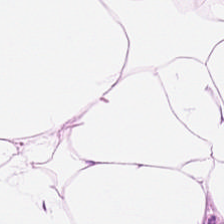H&E-stained tissue section.
Adipose.
